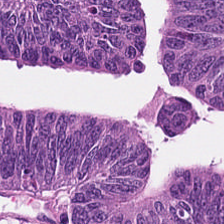Stain: hematoxylin-and-eosin stained section.
Acquisition: brightfield microscopy.
Tile size: 224×224 px tile.
Tissue: tumor epithelium.
